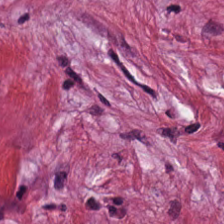Hematoxylin and eosin; 0.5 microns per pixel — This patch shows cancer-associated stroma.
